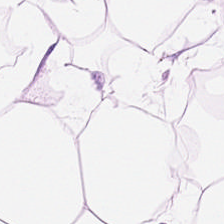Stain: hematoxylin and eosin.
Classification: fat tissue.
